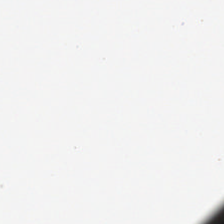H&E.
Empty field — background.
